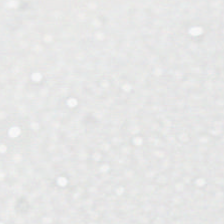Empty field — background (no tissue).
